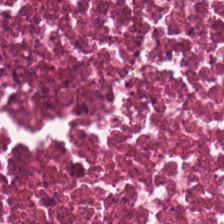Tissue: necrotic debris.
